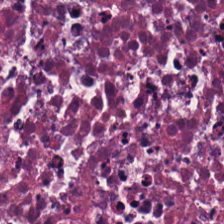Hematoxylin and eosin. Q: What tissue is shown?
A: Debris.
